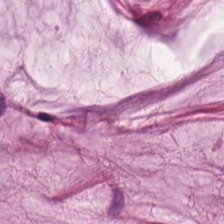Hematoxylin-and-eosin stained section. 224×224 px patch. Tissue type — mucus.
